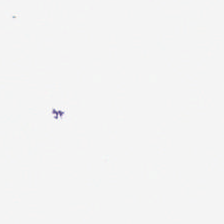0.5 microns per pixel; H&E-stained tissue section — This field is background (no tissue).
